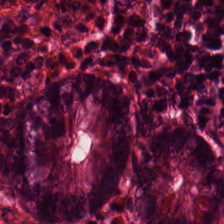H&E — normal colon mucosa.
